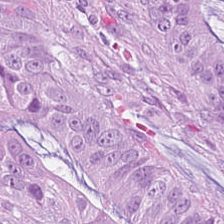Brightfield microscopy · H&E stain · 224×224 px tile. Q: What tissue type is shown here?
A: The field shows adenocarcinoma.
